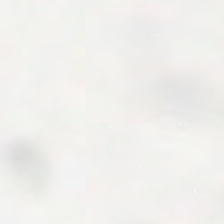H&E. 224×224 px tile.
The field content is background.
